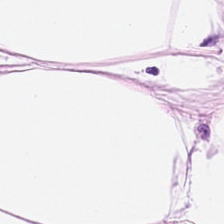224×224 pixel tile · brightfield microscopy · H&E-stained tissue section — Classification — adipose.
